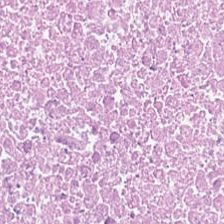Hematoxylin-and-eosin stained section — {"tissue_type": "necrotic debris"}
